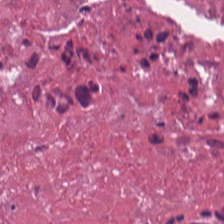The tissue here is cellular debris.
